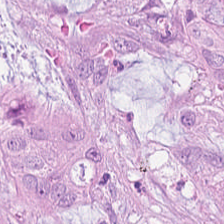Hematoxylin and eosin. Formalin-fixed paraffin-embedded section.
Q: Identify the tissue.
A: The field shows tumor epithelium.
